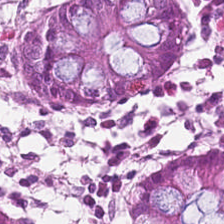Hematoxylin-and-eosin stained section.
Tissue — benign colonic mucosa.
